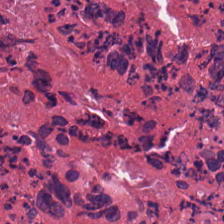H&E. Classification: cellular debris.
